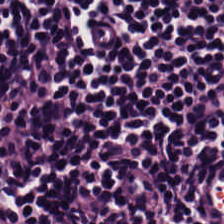WSI patch. 224×224 px tile. Hematoxylin-and-eosin stained section — Tissue class: lymphocytes.
